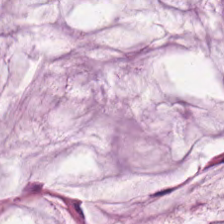H&E-stained tissue section. The predominant tissue is mucin.
